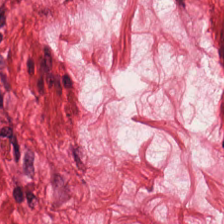Hematoxylin-and-eosin stained section — Q: What is the predominant tissue type?
A: This is muscularis.
